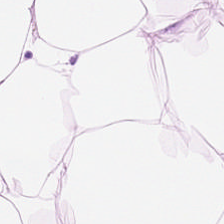H&E-stained tissue section; brightfield microscopy; 224×224 px tile — This field is fat tissue.
